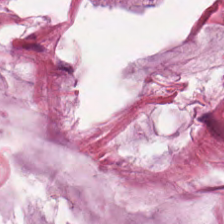H&E — Tissue type: extracellular mucin.
